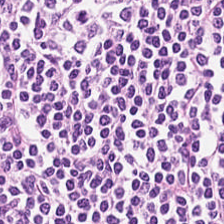Stain: hematoxylin and eosin.
Tile size: 224×224 pixel tile.
Resolution: 20× equivalent magnification.
Classification: lymphoid infiltrate.
